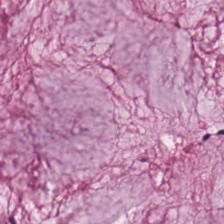H&E — This patch shows extracellular mucin.
